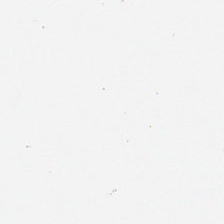Hematoxylin and eosin.
No tissue present; background only.
